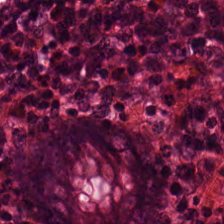H&E-stained tissue section.
The classification is benign colonic mucosa.
